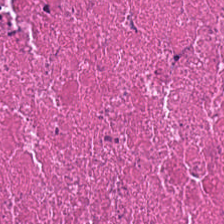Debris.
